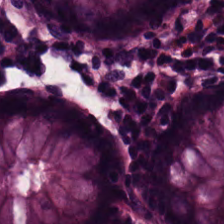Brightfield; 0.5 microns per pixel; H&E.
The predominant tissue is normal colonic mucosa.
